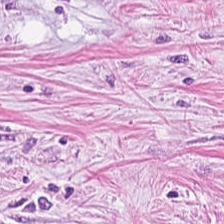H&E-stained tissue section. {"tissue_type": "tumor-associated stroma"}
